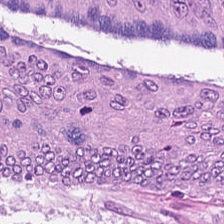Hematoxylin-and-eosin stained section. The predominant tissue is colorectal adenocarcinoma epithelium.
